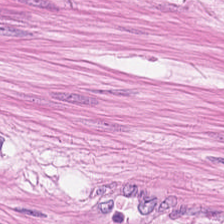H&E stain — Classification — smooth muscle.
